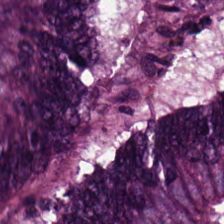H&E stain.
Finding — tumor epithelium.
